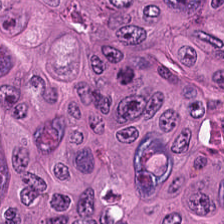Hematoxylin and eosin — Q: Classify this patch.
A: This is adenocarcinoma.
